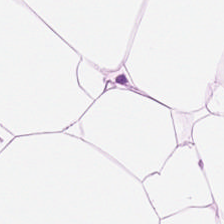Hematoxylin and eosin. Brightfield. 224×224 px patch — The tissue type is fat tissue.
